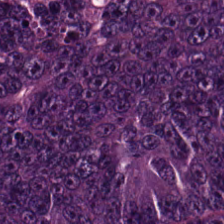Whole-slide-image patch. Hematoxylin-and-eosin stained section. Predominantly colorectal adenocarcinoma epithelium.
